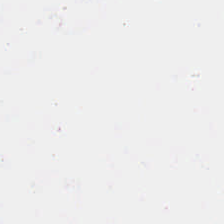Empty field — empty background.
